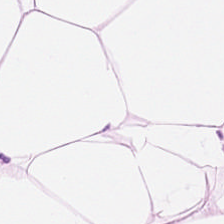H&E · brightfield microscopy. Tissue = fat tissue.
